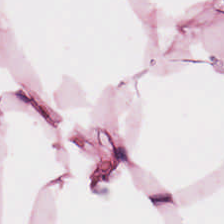H&E-stained tissue section. Brightfield. 224×224 px patch — Predominantly adipose.
